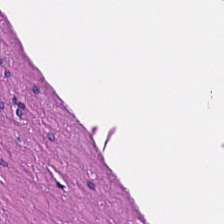Stain: H&E.
Acquisition: brightfield microscopy.
Tile size: 224×224 px patch.
Tissue class: muscularis.
